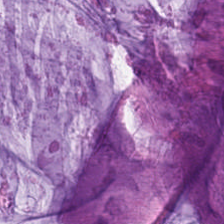Whole-slide-image patch · hematoxylin-and-eosin stained section.
This patch shows extracellular mucin.
